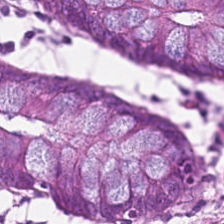This field is benign colonic mucosa.
